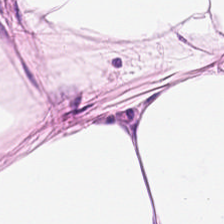H&E-stained tissue section.
The predominant tissue is adipose.
